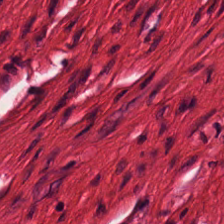0.5 µm per pixel; hematoxylin and eosin — Smooth-muscle tissue.
